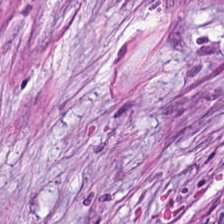Stain: H&E.
Tile size: 224×224 px tile.
Tissue type: tumor-associated stroma.
